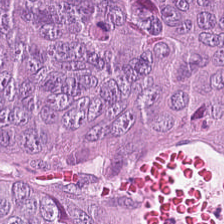H&E; 224×224 px patch.
Classification — tumor epithelium.
